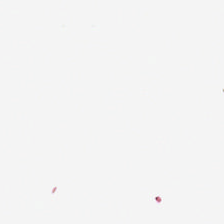224×224 px tile; H&E-stained tissue section — This patch shows no tissue.
